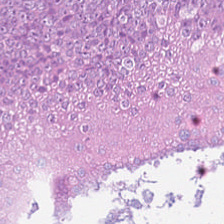H&E-stained tissue section.
Predominantly tumor epithelium.
